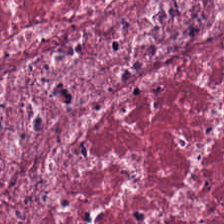H&E stain; FFPE tissue section. Predominantly tumor-associated stroma.
